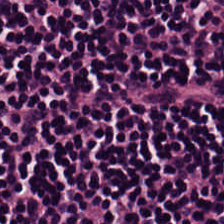H&E. The predominant tissue is lymphocyte aggregate.
